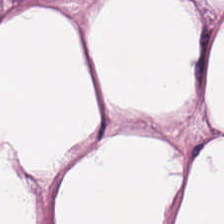H&E stain; brightfield microscopy. Q: What is shown here?
A: Fat tissue.
